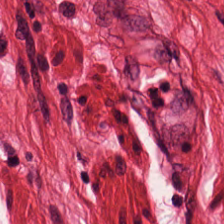Stain: H&E stain.
Tissue type: smooth muscle.
